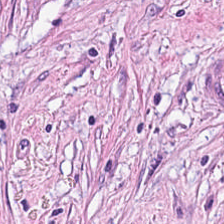20× equivalent magnification; hematoxylin and eosin. The predominant tissue is tumor stroma.
